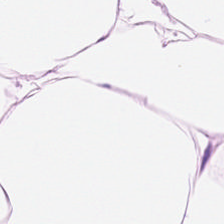This field is adipose tissue.
